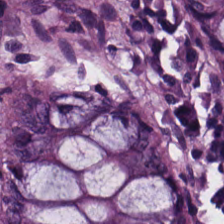0.5 µm/px · H&E stain.
Classification — normal colon mucosa.
